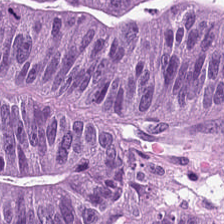FFPE · hematoxylin-and-eosin stained section — Impression — colorectal adenocarcinoma epithelium.
